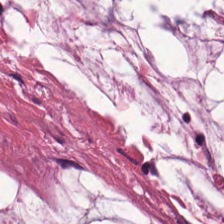H&E — Predominant tissue: mucus.
